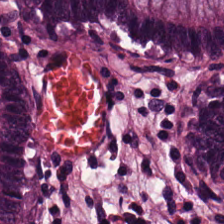Stain: hematoxylin-and-eosin stained section.
Tile size: 224×224 px tile.
Tissue class: normal colonic mucosa.
